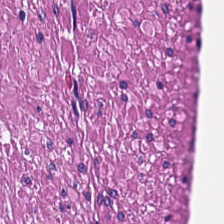20× equivalent magnification; H&E — Predominantly smooth-muscle tissue.
